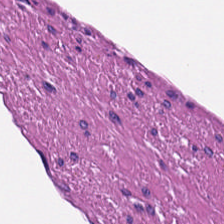Hematoxylin and eosin; 224×224 px tile.
Tissue = muscularis.
